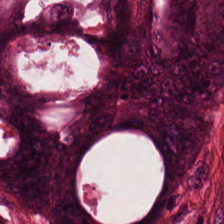Hematoxylin and eosin. 224×224 px patch. Q: What does this patch show?
A: Colorectal adenocarcinoma epithelium.
